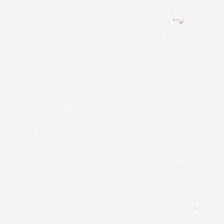Hematoxylin-and-eosin stained section. Content: empty background.
